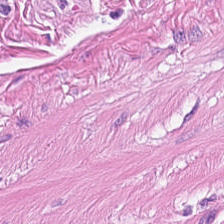224×224 px tile · hematoxylin-and-eosin stained section.
Showing smooth-muscle tissue.
